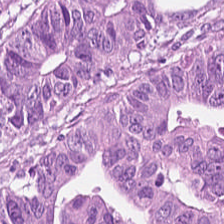224×224 pixel tile. 20× equivalent magnification. H&E. The predominant tissue is tumor epithelium.
